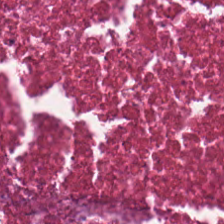H&E-stained tissue section — This field is debris.
